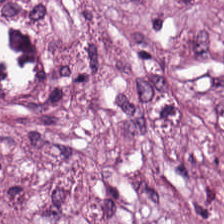Hematoxylin-and-eosin stained section · WSI patch · FFPE tissue section. Q: What tissue type is shown here?
A: The field shows tumor stroma.
